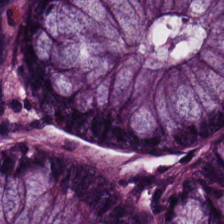Stain: H&E stain.
Tissue class: normal colonic mucosa.
